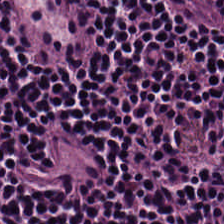Hematoxylin and eosin — Finding — lymphocyte aggregate.
